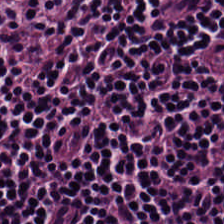H&E — Tissue = lymphocytic infiltrate.
